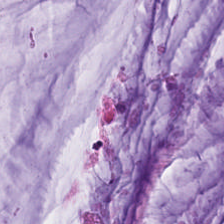H&E — This field is mucus.
